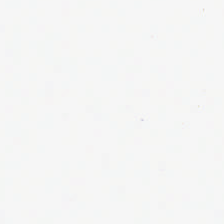H&E-stained tissue section. Q: What is shown in this field?
A: It is no tissue.
